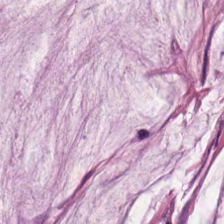Whole-slide-image patch; 224×224 px patch; H&E-stained tissue section. Tissue type — mucus.
